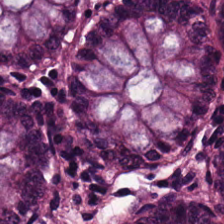Hematoxylin and eosin.
Q: What type of tissue is this?
A: Non-neoplastic colon mucosa.
